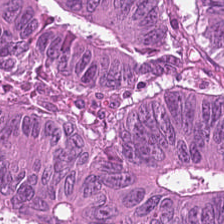H&E.
Tissue type = adenocarcinoma.
